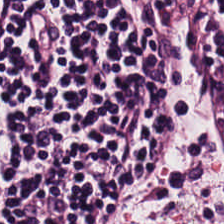H&E stain — Finding — lymphocytes.
